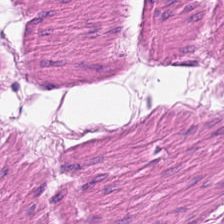H&E-stained tissue section — The tissue here is muscularis.
